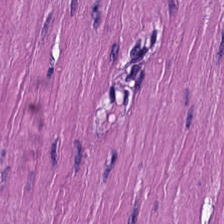Stain: hematoxylin-and-eosin stained section.
Tissue: muscularis.
